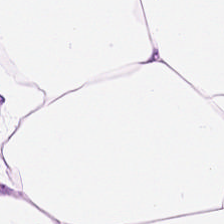Hematoxylin-and-eosin section: adipocytes.
